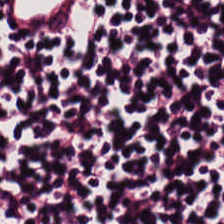The predominant tissue is lymphocyte aggregate.
